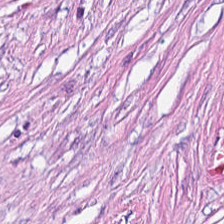Stain: hematoxylin-and-eosin stained section.
Tissue type: desmoplastic stroma.
